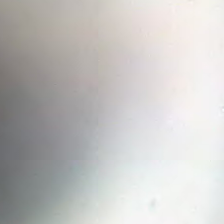The field content is no tissue.
